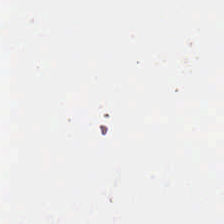Hematoxylin-and-eosin stained section.
Field content = no tissue.
